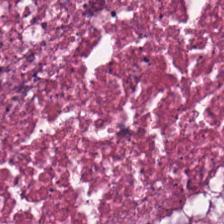0.5 microns per pixel. 224×224 px patch. H&E-stained tissue section.
This patch shows cellular debris.
